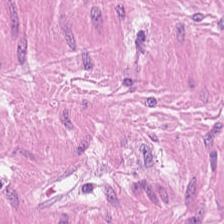H&E.
Q: Identify the tissue.
A: It is smooth-muscle tissue.
